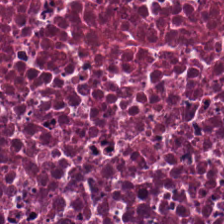{"tissue_type": "necrotic debris"}
